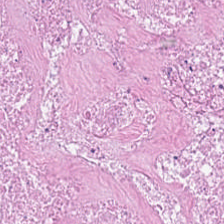Stain: H&E stain.
Tile size: 224×224 pixel tile.
Resolution: 0.5 microns per pixel.
Predominant tissue: necrotic debris.
